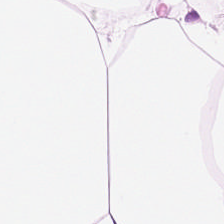H&E stain; whole-slide-image patch; 0.5 µm per pixel.
Q: What is the predominant tissue type?
A: This is fat tissue.
